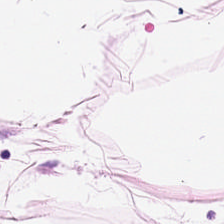H&E-stained tissue section · FFPE tissue section. Finding — adipocytes.
